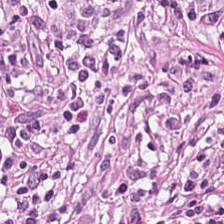Brightfield microscopy. H&E-stained tissue section. The tissue class is tumor stroma.
